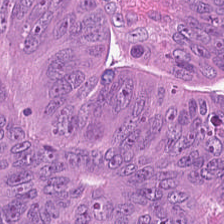Q: What is the predominant tissue type?
A: This is malignant epithelium.
